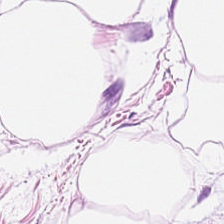H&E-stained tissue section. Fat tissue.
